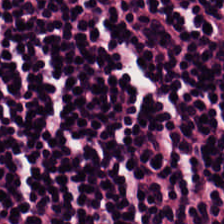Stain: hematoxylin and eosin.
Resolution: 0.5 µm per pixel.
Preparation: formalin-fixed paraffin-embedded section.
Tissue class: lymphocytic infiltrate.
